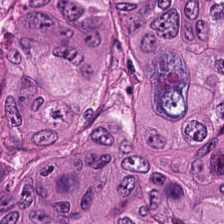H&E-stained tissue section · FFPE. Colorectal adenocarcinoma.
